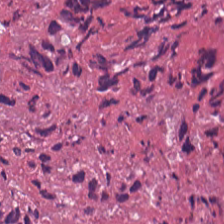H&E.
The predominant tissue is cellular debris.
